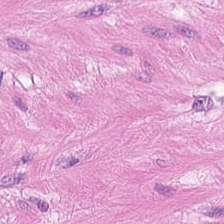H&E stain. The tissue here is smooth muscle.
